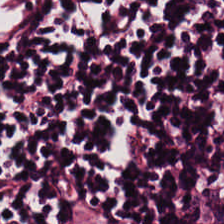H&E — lymphocytes.
